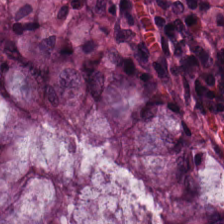Hematoxylin-and-eosin stained section. Q: Classify this patch.
A: The field shows benign colonic mucosa.
